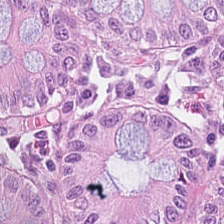H&E-stained tissue section — This patch shows normal colon mucosa.
